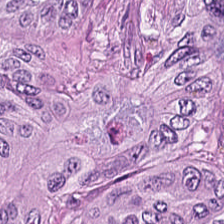Whole-slide-image patch · 0.5 microns per pixel · H&E.
Impression → colorectal adenocarcinoma epithelium.
